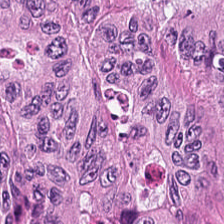Hematoxylin and eosin. This patch shows tumor epithelium.
